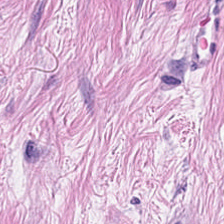H&E-stained tissue section showing tumor-associated stroma.
